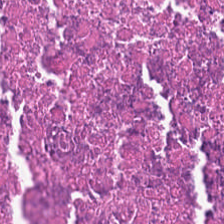H&E; brightfield; FFPE. This patch shows cellular debris.
